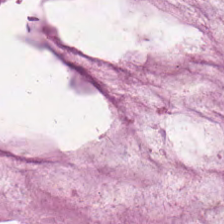H&E stain — Tissue type — extracellular mucin.
